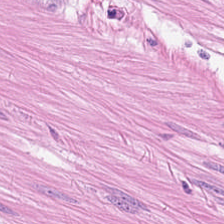H&E-stained tissue section — Q: What does this patch show?
A: This is smooth muscle.
